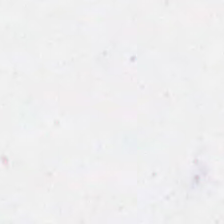Hematoxylin-and-eosin stained section. 224×224 pixel tile. Field content = background (no tissue).
